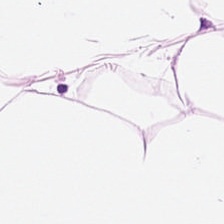Hematoxylin and eosin.
Q: What is the predominant tissue type?
A: Adipocytes.
